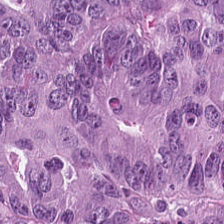Hematoxylin and eosin. This patch shows colorectal adenocarcinoma.
